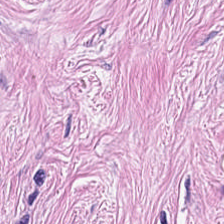The tissue is cancer-associated stroma.
